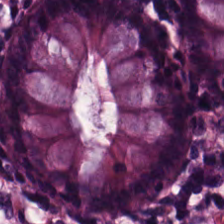Tissue — normal colon mucosa.
